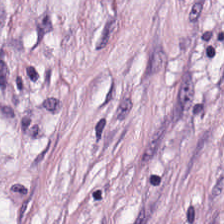H&E.
This patch shows desmoplastic stroma.
